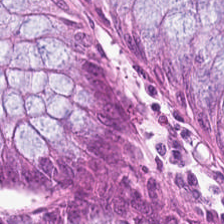Benign colonic mucosa.
